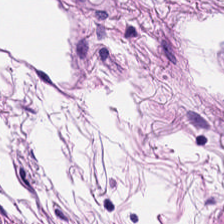H&E-stained tissue section.
Predominant tissue: smooth-muscle tissue.
